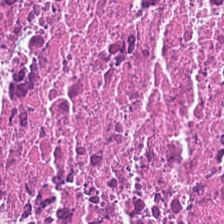Stain: hematoxylin and eosin.
Predominant tissue: necrotic debris.
